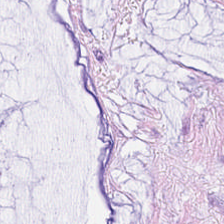H&E. 224×224 px tile. This patch shows mucin.
